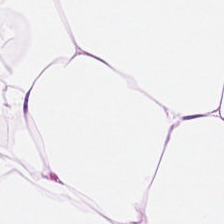Hematoxylin and eosin — This patch shows adipose tissue.
